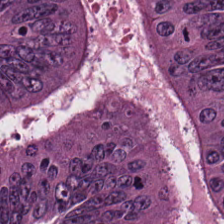Q: What is the predominant tissue type?
A: The field shows tumor epithelium.
